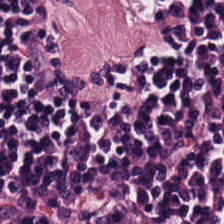Hematoxylin-and-eosin stained section. Tissue = lymphocytes.
